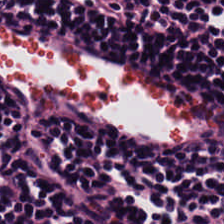FFPE tissue section. Hematoxylin-and-eosin stained section.
Showing lymphoid infiltrate.
